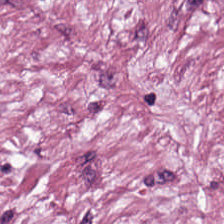H&E-stained tissue section. The predominant tissue is tumor stroma.
